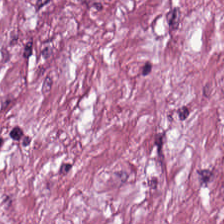WSI patch · FFPE · hematoxylin-and-eosin stained section. The tissue class is tumor-associated stroma.
